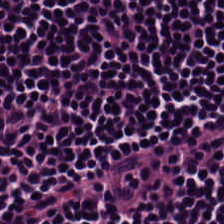FFPE. H&E. Brightfield microscopy.
Showing lymphocytic infiltrate.
